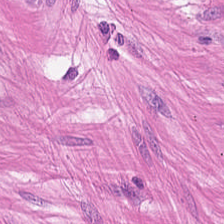224×224 pixel tile · hematoxylin and eosin.
This field is smooth muscle.
